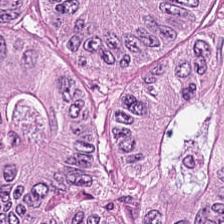Stain: hematoxylin-and-eosin stained section.
Predominant tissue: adenocarcinoma.
